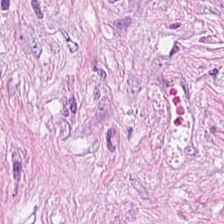224×224 pixel tile. FFPE. Hematoxylin-and-eosin stained section — The tissue here is desmoplastic stroma.
